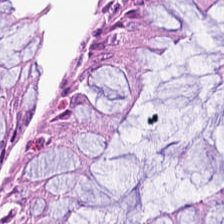Hematoxylin and eosin. WSI patch.
Q: What is shown in this field?
A: Normal colon mucosa.
